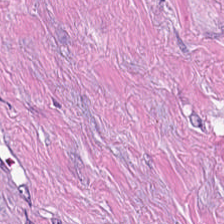H&E-stained tissue section. Predominantly tumor-associated stroma.
